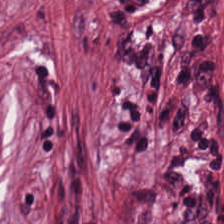H&E · FFPE — Tissue type — tumor-associated stroma.
